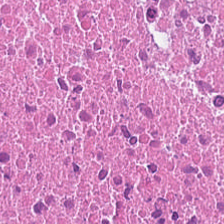The tissue type is cellular debris.
